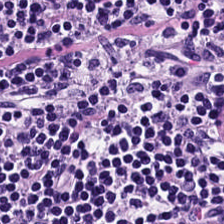H&E. Lymphocyte aggregate.
